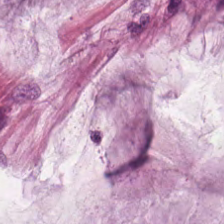H&E-stained tissue section; whole-slide-image patch — Showing extracellular mucin.
